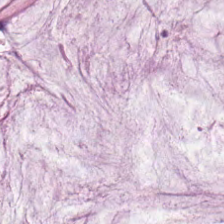Brightfield; hematoxylin-and-eosin stained section; 224×224 px patch.
Predominant tissue: mucin.
